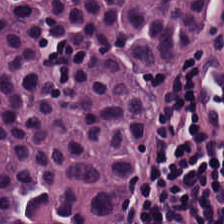224×224 pixel tile · hematoxylin-and-eosin stained section · WSI patch. The tissue here is lymphocytic infiltrate.
